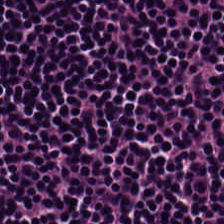H&E. Classification: lymphocytic infiltrate.
